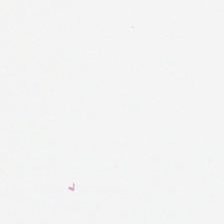Hematoxylin-and-eosin stained section — Q: Classify this patch.
A: This is background.
